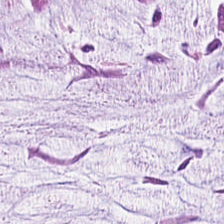H&E — extracellular mucin.
